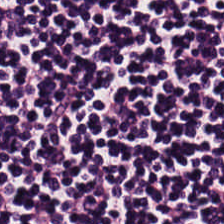Predominant tissue — lymphocyte aggregate.
